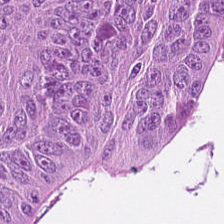H&E-stained tissue section; formalin-fixed paraffin-embedded section. Showing tumor epithelium.
